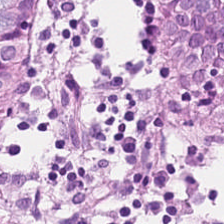Impression — benign colonic mucosa.
